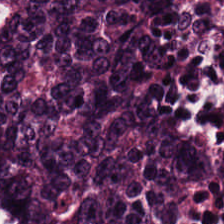H&E stain.
Q: What is shown here?
A: The field shows colorectal adenocarcinoma epithelium.
